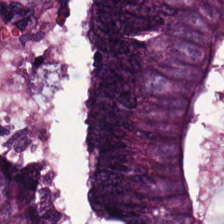FFPE; 224×224 px tile; H&E stain — This field is adenocarcinoma.
